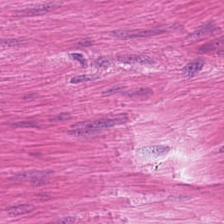H&E patch showing muscularis.
